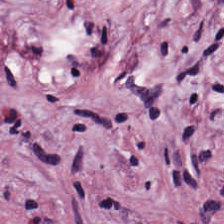224×224 pixel tile · hematoxylin-and-eosin stained section.
{"tissue_type": "tumor-associated stroma"}
